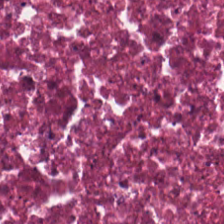Q: What is shown in this field?
A: This is debris.
